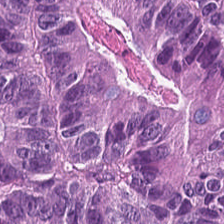Hematoxylin-and-eosin stained section; 0.5 µm/px; 224×224 px patch — Q: What tissue is shown?
A: This is colorectal adenocarcinoma.
